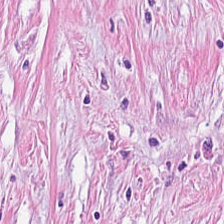Brightfield; H&E stain; formalin-fixed paraffin-embedded section.
Showing desmoplastic stroma.
